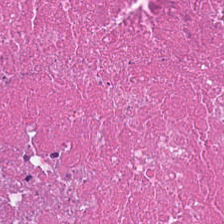Classification = debris.
